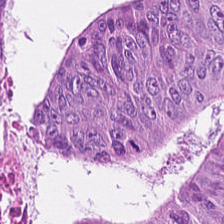Hematoxylin-and-eosin stained section; 0.5 µm/px — This patch shows adenocarcinoma.
